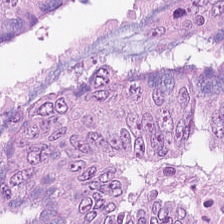0.5 microns per pixel · H&E stain — Q: What type of tissue is this?
A: The field shows colorectal adenocarcinoma.
